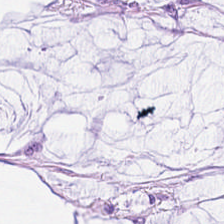Hematoxylin-and-eosin stained section — Predominantly mucus.
